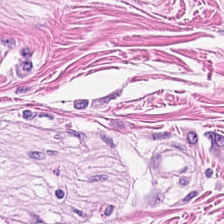Hematoxylin-and-eosin stained section · 0.5 µm per pixel · brightfield microscopy. Smooth-muscle tissue.
